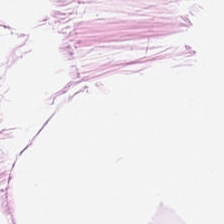Hematoxylin and eosin. Impression — adipose.
